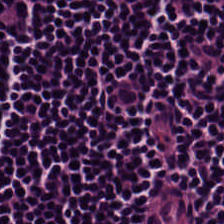H&E-stained tissue section. Brightfield. 224×224 px patch. Q: What does this patch show?
A: This is lymphocyte aggregate.
